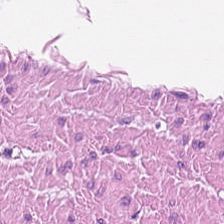224×224 pixel tile. H&E stain. 0.5 µm/px. Impression → muscularis.
